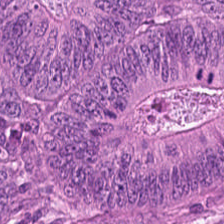Hematoxylin and eosin; FFPE tissue section. Histology — colorectal adenocarcinoma.
